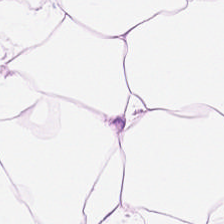Formalin-fixed paraffin-embedded section. Hematoxylin-and-eosin stained section — Histology → fat tissue.
